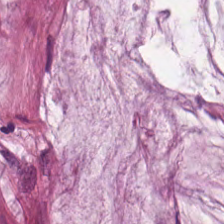Stain: H&E stain.
Preparation: formalin-fixed paraffin-embedded section.
Tissue type: extracellular mucin.
